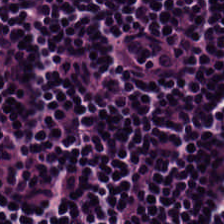H&E; whole-slide-image patch; 224×224 pixel tile — This field is lymphocytes.
